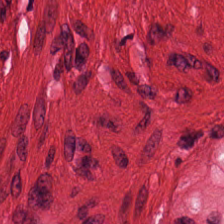H&E.
{"tissue_type": "muscularis"}
